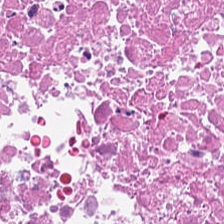H&E stain — The predominant tissue is necrotic debris.
